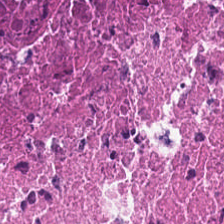Stain: H&E stain.
Resolution: 0.5 µm/px.
Tile size: 224×224 px tile.
Tissue class: cellular debris.
